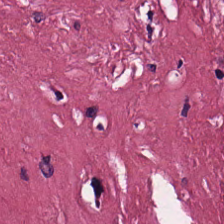H&E stain.
Histology — tumor stroma.
